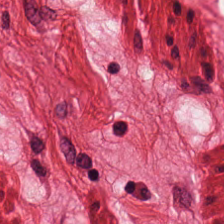20× equivalent magnification · H&E · 224×224 px tile.
Smooth-muscle tissue.
